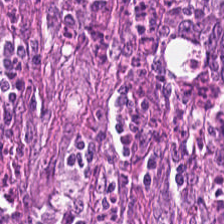The tissue here is tumor epithelium.
